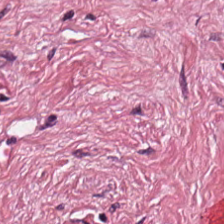H&E-stained tissue section.
The tissue class is cancer-associated stroma.
